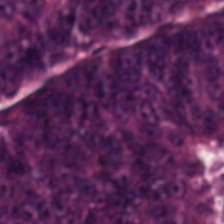Hematoxylin and eosin — The tissue here is malignant epithelium.
